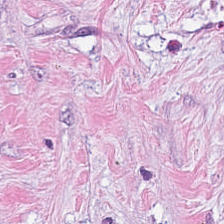H&E patch showing cancer-associated stroma.
